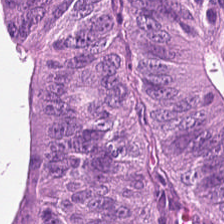This patch shows tumor epithelium.
